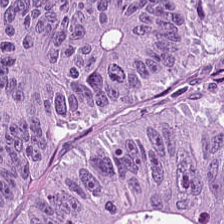Stain: hematoxylin and eosin.
Tissue class: colorectal adenocarcinoma epithelium.
